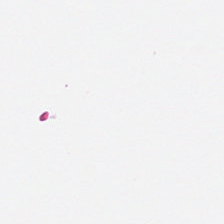H&E-stained tissue section — Histology — background (no tissue).
